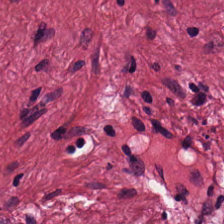Hematoxylin-and-eosin stained section · 224×224 px tile · WSI patch.
Desmoplastic stroma.
